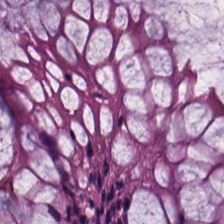Hematoxylin and eosin. 20× equivalent magnification.
Showing normal colonic mucosa.
